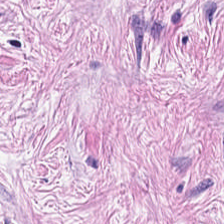H&E. {"tissue_type": "desmoplastic stroma"}
